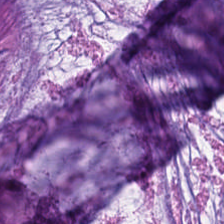Q: Classify this patch.
A: The field shows mucus.
